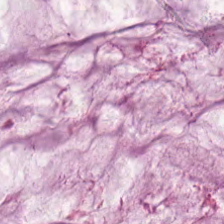Hematoxylin-and-eosin stained section — Tissue = extracellular mucin.
